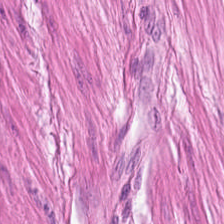The tissue class is smooth muscle.
